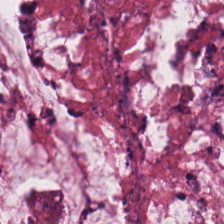Finding → mucin.
